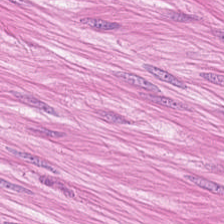Stain: H&E.
Acquisition: brightfield.
Resolution: 20× equivalent magnification.
Tissue class: smooth muscle.
